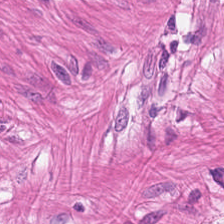Predominantly smooth muscle.
